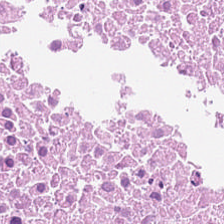H&E stain.
Tissue: cellular debris.
